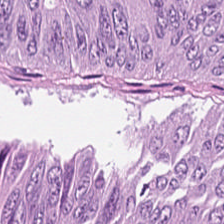FFPE; 224×224 pixel tile; hematoxylin-and-eosin stained section. The classification is tumor epithelium.
